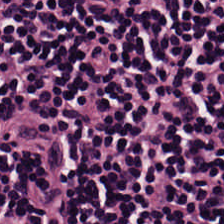0.5 microns per pixel. H&E-stained tissue section. Q: What is shown here?
A: This is lymphocytes.
